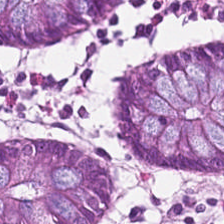{"tissue_type": "non-neoplastic colon mucosa"}
